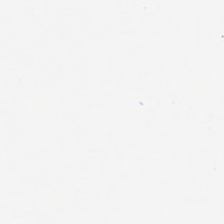FFPE tissue section; 0.5 microns per pixel; hematoxylin and eosin — Classification = background (no tissue).
